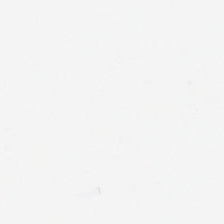No tissue.
